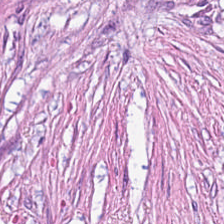H&E-stained tissue section.
This field is tumor-associated stroma.
